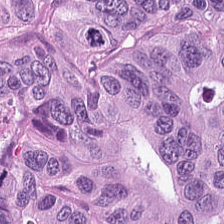H&E.
Adenocarcinoma.
